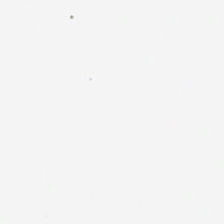Hematoxylin-and-eosin stained section.
The classification is no tissue.
